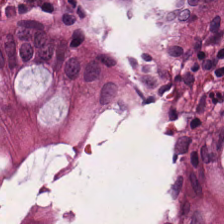Q: What is shown in this field?
A: Benign colonic mucosa.
